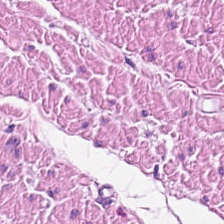H&E — Impression → muscularis.
